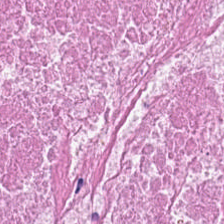H&E — Predominant tissue — debris.
